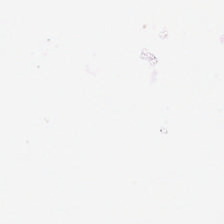{"content": "background"}
